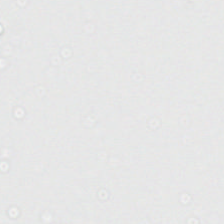H&E-stained tissue section; whole-slide-image patch. Q: What is shown here?
A: This is no tissue.
